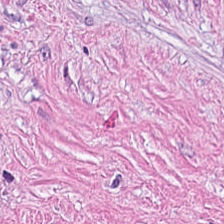Q: What tissue is shown?
A: This is tumor-associated stroma.
